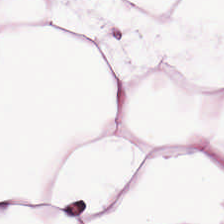H&E; FFPE tissue section.
Tissue class: adipose.
